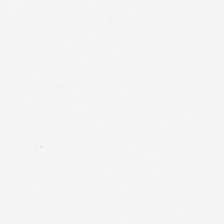H&E-stained tissue section. 0.5 microns per pixel. This field is background (no tissue).
